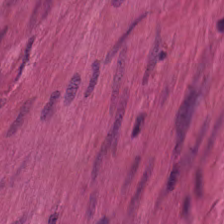{"tissue_type": "smooth muscle"}
